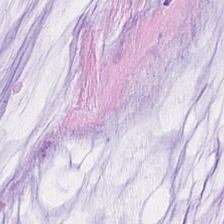H&E stain — This patch shows mucus.
